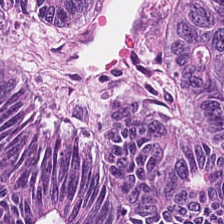H&E. Finding → colorectal adenocarcinoma epithelium.
